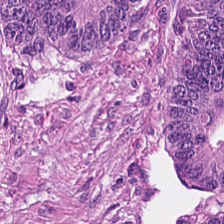H&E stain.
Q: What is shown in this field?
A: It is malignant epithelium.
